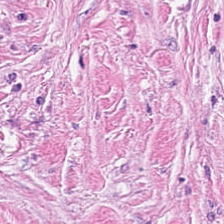H&E-stained tissue section showing tumor-associated stroma.
